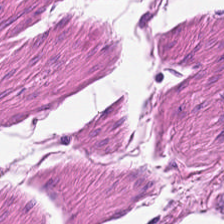H&E-stained tissue section — Q: What does this patch show?
A: It is smooth muscle.
